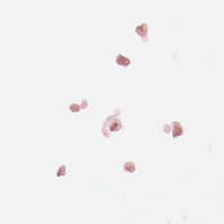Q: What does this patch show?
A: It is background (no tissue).
